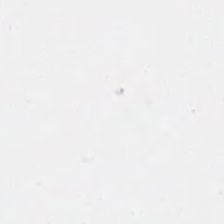H&E-stained tissue section.
Q: What is shown in this field?
A: The field shows background.
